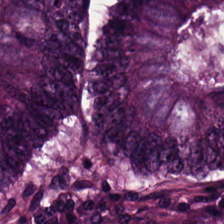{"tissue_type": "adenocarcinoma"}
